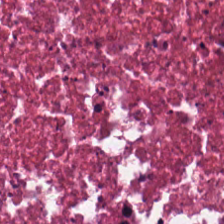H&E stain · 0.5 microns per pixel · whole-slide-image patch — Tissue class: cellular debris.
